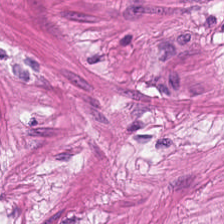Q: What is shown in this field?
A: The field shows smooth-muscle tissue.
